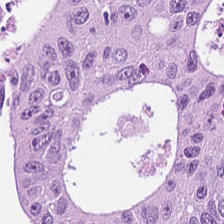0.5 µm per pixel; FFPE; H&E-stained tissue section — Q: What is shown in this field?
A: This is colorectal adenocarcinoma epithelium.
